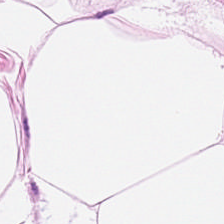Hematoxylin and eosin. Finding → adipose tissue.
